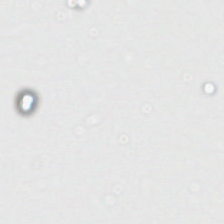Hematoxylin and eosin; 20× equivalent magnification.
Q: What is shown in this field?
A: No tissue.
